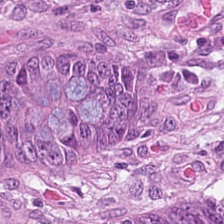Stain: H&E stain.
Tissue: colorectal adenocarcinoma.
